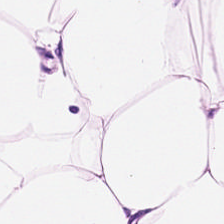Hematoxylin-and-eosin stained section — The tissue here is adipocytes.
